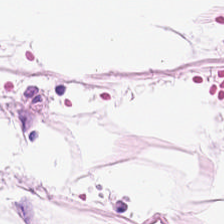Hematoxylin and eosin.
Q: What tissue type is shown here?
A: The field shows adipocytes.
